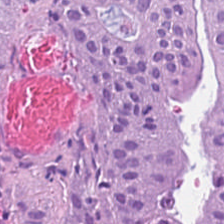H&E — Predominant tissue — tumor epithelium.
